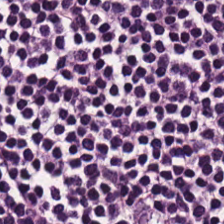FFPE; H&E-stained tissue section. Predominantly lymphoid infiltrate.
